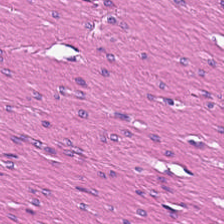H&E-stained tissue section. Finding — smooth-muscle tissue.
